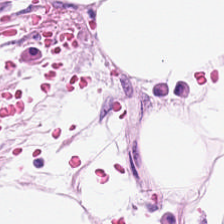Q: What is shown in this field?
A: Adipocytes.
